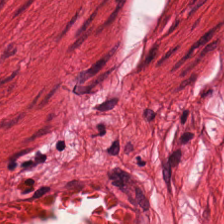Hematoxylin and eosin. This field is smooth-muscle tissue.
